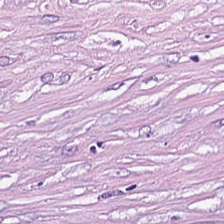Tumor stroma.
